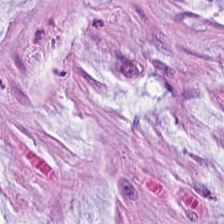H&E. WSI patch.
The tissue type is mucus.
